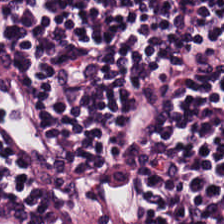H&E stain; FFPE tissue section. Impression → lymphoid infiltrate.
